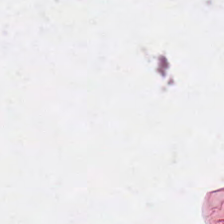H&E. Q: Classify this patch.
A: Background (no tissue).
